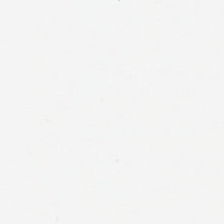Hematoxylin and eosin.
Q: What does this patch show?
A: It is empty background.
